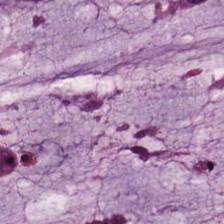Hematoxylin and eosin. Formalin-fixed paraffin-embedded section.
The tissue here is extracellular mucin.
